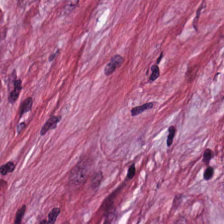Finding — tumor-associated stroma.
